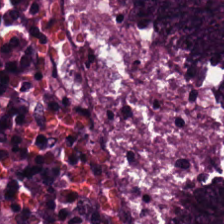H&E patch showing colorectal adenocarcinoma epithelium.
